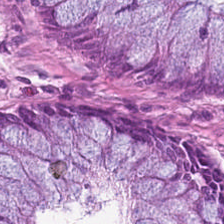Hematoxylin-and-eosin section: non-neoplastic colon mucosa.
